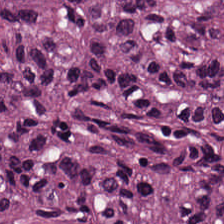Hematoxylin-and-eosin stained section; brightfield.
This patch shows tumor epithelium.
